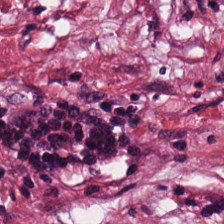H&E.
Q: What does this patch show?
A: This is tumor-associated stroma.
